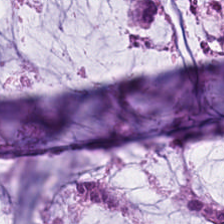Showing mucin.
